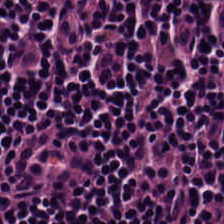H&E-stained tissue section. Q: What tissue type is shown here?
A: This is lymphocytes.
